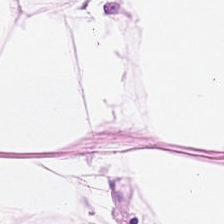Tissue class = adipose tissue.
